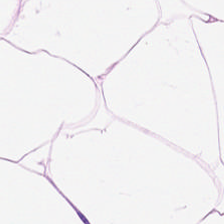0.5 µm/px. Hematoxylin-and-eosin stained section. FFPE — Q: What is shown here?
A: This is fat tissue.
